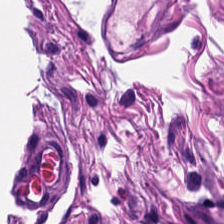Stain: H&E.
Acquisition: whole-slide-image patch.
Predominant tissue: muscularis.
